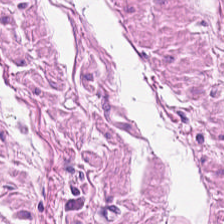Hematoxylin-and-eosin stained section. The tissue here is smooth muscle.
